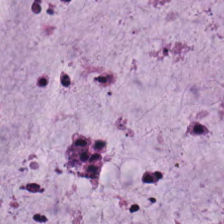Hematoxylin and eosin. {"tissue_type": "extracellular mucin"}
